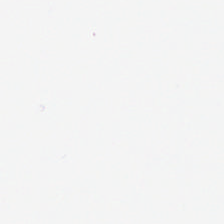FFPE tissue section · 0.5 µm per pixel · H&E-stained tissue section. Empty background.
